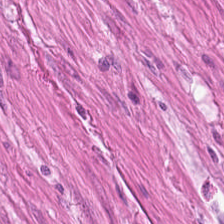224×224 pixel tile. Hematoxylin and eosin. Whole-slide-image patch — Tissue class = muscularis.
